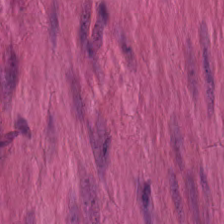Stain: H&E stain.
Tissue class: smooth muscle.
